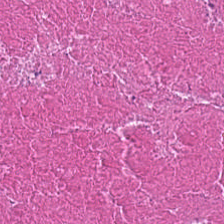Hematoxylin-and-eosin stained section · whole-slide-image patch — Showing debris.
